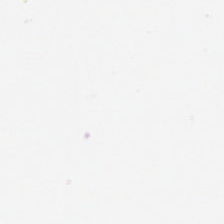H&E-stained tissue section; 0.5 µm per pixel; 224×224 px tile.
Q: What does this patch show?
A: It is background (no tissue).
